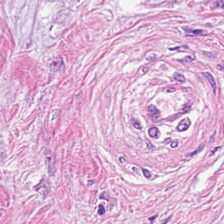Stain: H&E stain.
Predominant tissue: tumor stroma.
